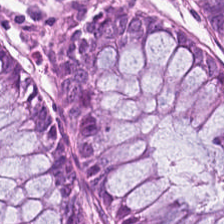FFPE; hematoxylin-and-eosin stained section; 0.5 microns per pixel. Q: What does this patch show?
A: The field shows normal colon mucosa.
